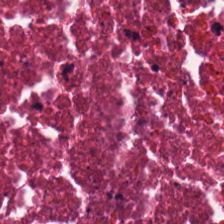Stain: H&E-stained tissue section.
Acquisition: WSI patch.
Tissue type: cellular debris.
